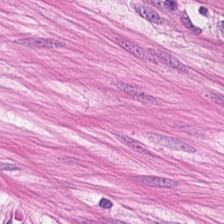{"tissue_type": "smooth-muscle tissue"}
